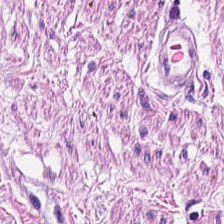Hematoxylin and eosin — Histology → smooth muscle.
